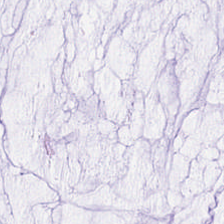H&E-stained tissue section showing mucus.
